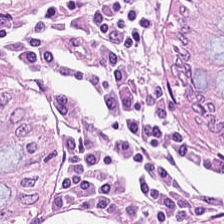H&E stain; FFPE tissue section.
Benign colonic mucosa.
